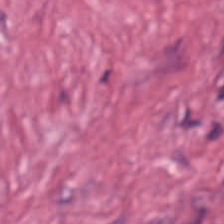Stain: H&E-stained tissue section.
Tissue type: desmoplastic stroma.
